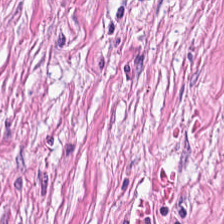20× equivalent magnification. H&E stain.
Tissue type: tumor-associated stroma.
